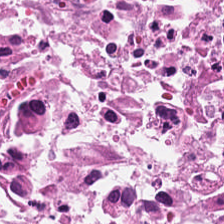Tissue class = cellular debris.
